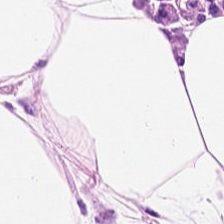H&E patch showing fat tissue.
